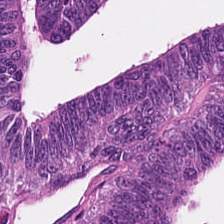H&E · 224×224 px patch · brightfield microscopy.
The predominant tissue is malignant epithelium.
